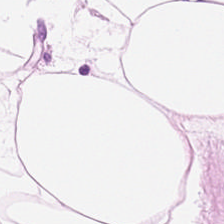This field is adipose tissue.
